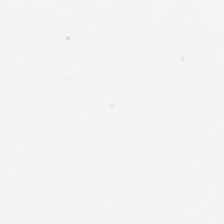Stain: H&E stain.
Classification: background.
